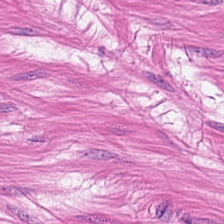H&E stain. The tissue type is smooth muscle.
